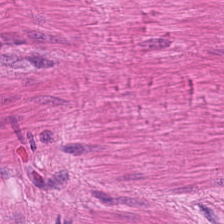Tissue class: smooth-muscle tissue.
